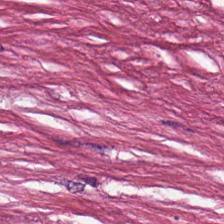224×224 pixel tile · H&E stain · formalin-fixed paraffin-embedded section — Impression — debris.
